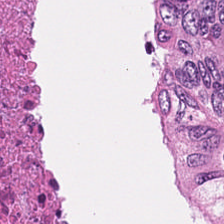Hematoxylin-and-eosin stained section · 224×224 px tile · 0.5 microns per pixel. The tissue here is debris.
